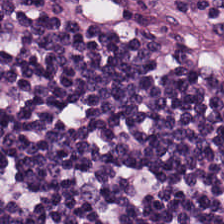224×224 px patch; H&E stain.
Showing lymphocyte aggregate.
